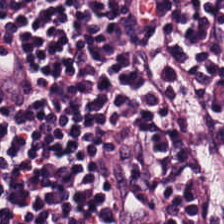Hematoxylin and eosin. Formalin-fixed paraffin-embedded section — Q: What is shown in this field?
A: It is lymphocyte aggregate.
